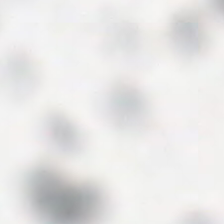Stain: hematoxylin-and-eosin stained section.
Content: empty background.
